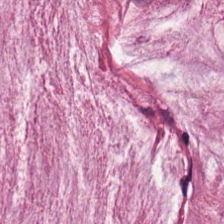Showing mucus.
